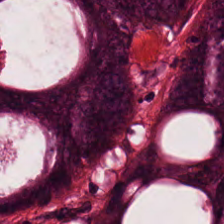This patch shows colorectal adenocarcinoma.
